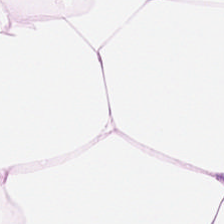Brightfield microscopy · hematoxylin and eosin · 224×224 pixel tile.
Q: What does this patch show?
A: Fat tissue.
